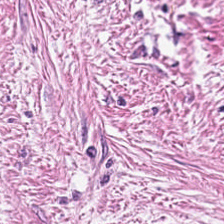Hematoxylin and eosin. Q: What tissue type is shown here?
A: It is desmoplastic stroma.
